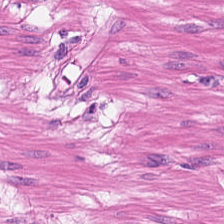Histology — smooth muscle.
